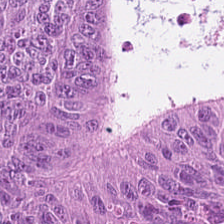Stain: H&E stain.
Tissue type: malignant epithelium.
